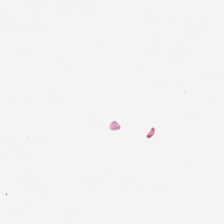H&E stain — Empty field — empty background.
